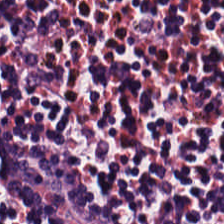0.5 microns per pixel; H&E-stained tissue section; FFPE tissue section. Q: What is the predominant tissue type?
A: This is lymphocyte aggregate.
